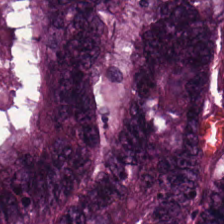Predominant tissue: malignant epithelium.
